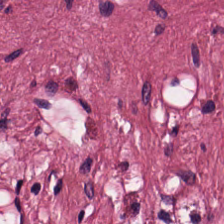H&E-stained section; the field shows tumor stroma.
